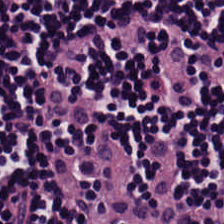WSI patch · FFPE · hematoxylin and eosin.
Finding → lymphoid infiltrate.
